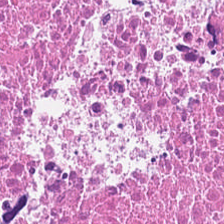Stain: hematoxylin and eosin.
Tissue class: necrotic debris.
